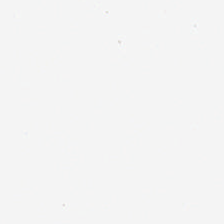0.5 µm per pixel. Formalin-fixed paraffin-embedded section. H&E-stained tissue section — Classification: background.
